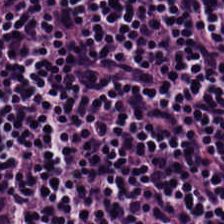H&E-stained tissue section. This patch shows lymphocyte aggregate.
